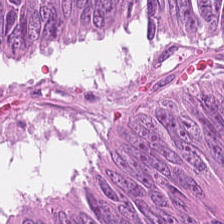224×224 px tile. Hematoxylin-and-eosin stained section. FFPE tissue section — The tissue type is adenocarcinoma.
